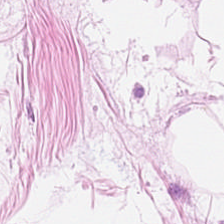0.5 µm per pixel; H&E-stained tissue section; brightfield — Predominant tissue = adipose.
